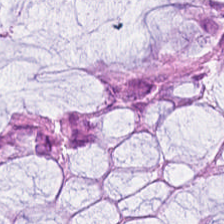Stain: hematoxylin-and-eosin stained section.
Tissue type: normal colon mucosa.
